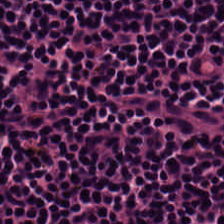Hematoxylin and eosin · FFPE.
This patch shows lymphocyte aggregate.
